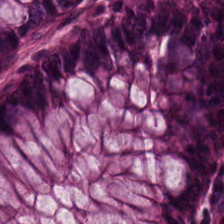H&E — Classification — normal colonic mucosa.
